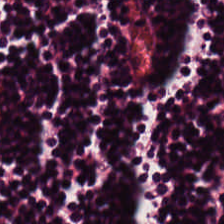Lymphocytic infiltrate.
